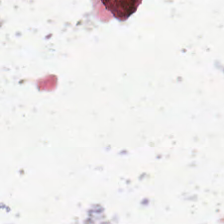Content = background (no tissue).
